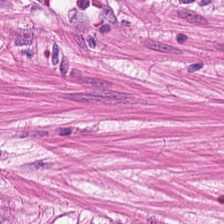H&E stain. Brightfield microscopy. 20× equivalent magnification.
Q: What tissue is shown?
A: The field shows muscularis.
